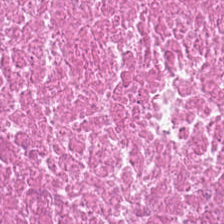20× equivalent magnification; H&E stain — Histology — necrotic debris.
